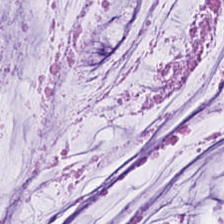H&E; whole-slide-image patch. Q: Classify this patch.
A: This is mucus.
